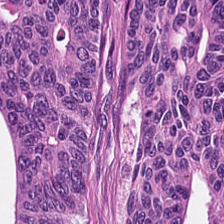H&E-stained tissue section. 224×224 px tile — Finding → colorectal adenocarcinoma.
